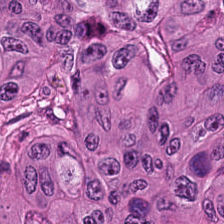0.5 microns per pixel · whole-slide-image patch · hematoxylin-and-eosin stained section.
The predominant tissue is malignant epithelium.
